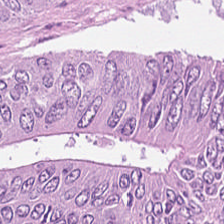20× equivalent magnification. 224×224 pixel tile. Hematoxylin-and-eosin stained section.
{"tissue_type": "tumor epithelium"}
